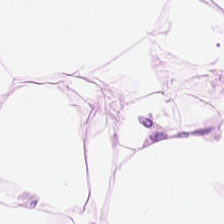Histology — adipocytes.
